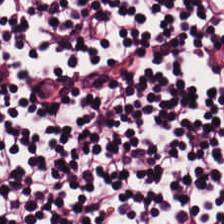H&E patch showing lymphocyte aggregate.
